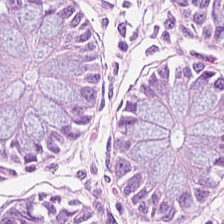H&E-stained tissue section; brightfield microscopy.
This field is normal colon mucosa.
